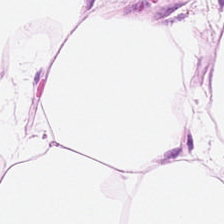H&E stain · 20× equivalent magnification · brightfield.
Predominantly adipose.
